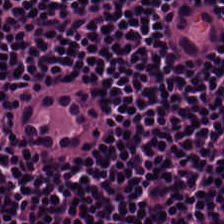Hematoxylin-and-eosin stained section.
This field is lymphocytic infiltrate.
